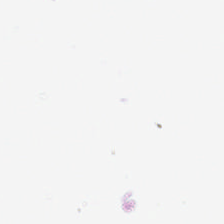The field content is no tissue.
